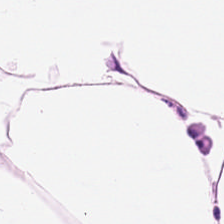H&E stain; WSI patch — Tissue class = adipocytes.
